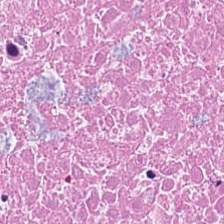Formalin-fixed paraffin-embedded section · hematoxylin and eosin.
Q: What is shown in this field?
A: The field shows necrotic debris.
